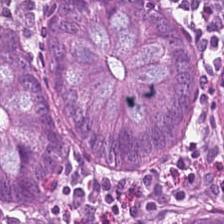Hematoxylin-and-eosin stained section; whole-slide-image patch — Finding — benign colonic mucosa.
